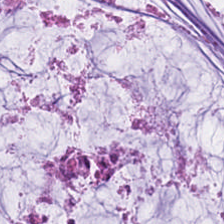This field is extracellular mucin.
